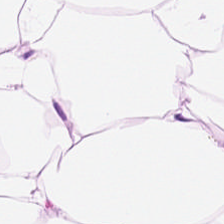20× equivalent magnification; H&E-stained tissue section; whole-slide-image patch.
Predominant tissue — adipose tissue.
